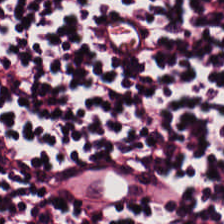Brightfield · hematoxylin-and-eosin stained section. Tissue type = lymphocyte aggregate.
